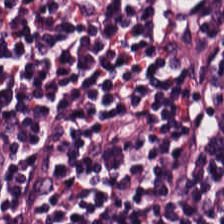Stain: H&E.
Tissue class: lymphocytic infiltrate.
